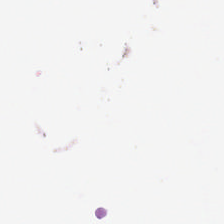Hematoxylin and eosin — No tissue.
